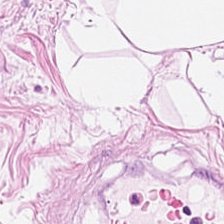H&E stain; FFPE tissue section. Q: What tissue type is shown here?
A: The field shows adipocytes.
